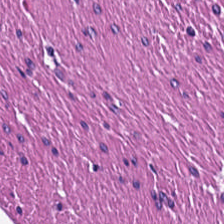Hematoxylin-and-eosin stained section; FFPE tissue section; 20× equivalent magnification.
Histology → smooth-muscle tissue.
